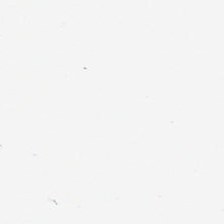Hematoxylin-and-eosin stained section.
Q: What is shown in this field?
A: This is background.
